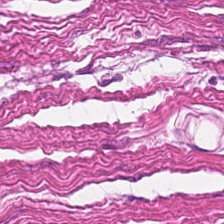Q: What type of tissue is this?
A: This is muscularis.
